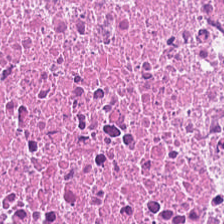224×224 px patch; hematoxylin and eosin — Q: What tissue is shown?
A: Debris.
